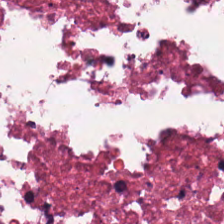H&E-stained tissue section.
Impression — debris.
